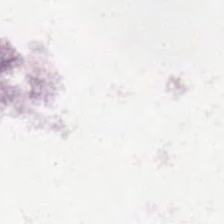Stain: hematoxylin and eosin.
Resolution: 0.5 microns per pixel.
Content: no tissue.
